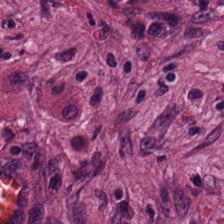H&E; brightfield microscopy. Q: What type of tissue is this?
A: The field shows cancer-associated stroma.
